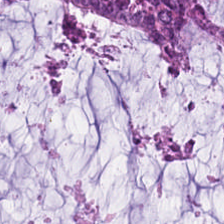This patch shows mucin.
